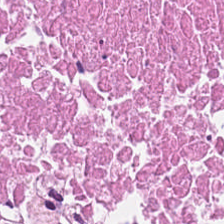H&E — This field is necrotic debris.
